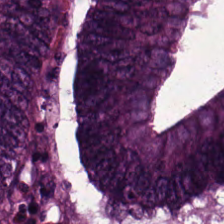Showing colorectal adenocarcinoma.
